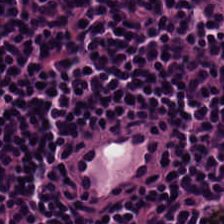Stain: H&E.
Predominant tissue: lymphocytes.
